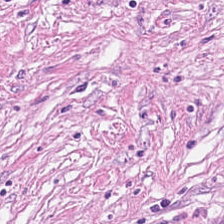H&E — Classification = tumor stroma.
